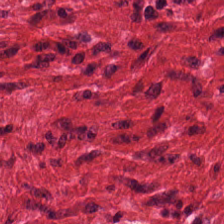H&E-stained tissue section.
Q: Identify the tissue.
A: The field shows smooth muscle.
